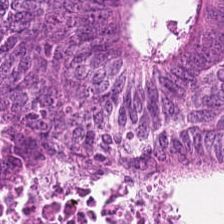Formalin-fixed paraffin-embedded section. Hematoxylin-and-eosin stained section. 0.5 µm/px.
Predominantly colorectal adenocarcinoma.
